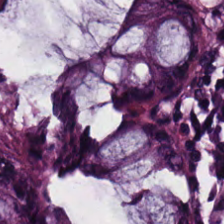H&E — The tissue here is benign colonic mucosa.
